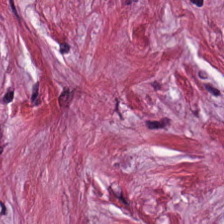Stain: H&E.
Tissue class: tumor stroma.
